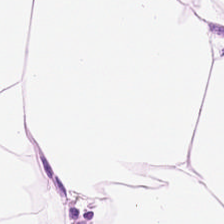0.5 µm per pixel; H&E-stained tissue section.
Adipose.
